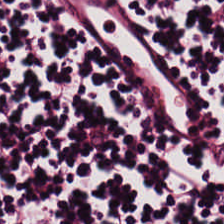Brightfield microscopy · 0.5 µm/px · H&E-stained tissue section. Predominantly lymphocytic infiltrate.
